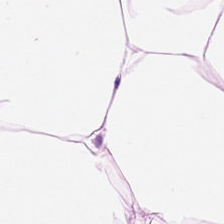Stain: H&E stain.
Tissue class: adipose tissue.
